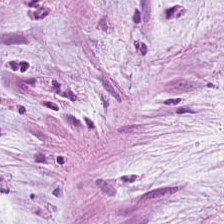224×224 px patch · hematoxylin-and-eosin stained section.
Q: What tissue type is shown here?
A: This is mucin.
